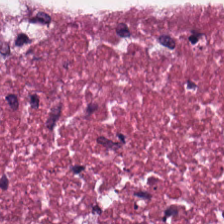Hematoxylin-and-eosin stained section.
Classification: necrotic debris.
